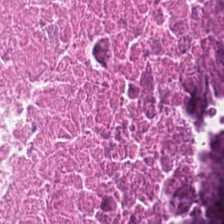H&E. The predominant tissue is necrotic debris.
